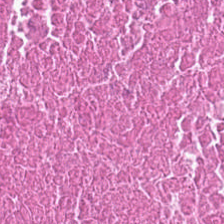Hematoxylin and eosin · 224×224 px patch — Tissue type — necrotic debris.
